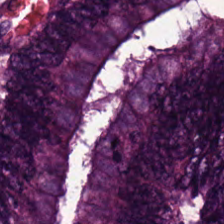224×224 px tile; hematoxylin-and-eosin stained section. The predominant tissue is colorectal adenocarcinoma.
